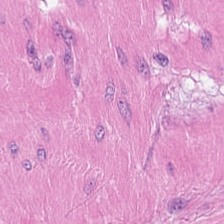H&E — {"tissue_type": "muscularis"}
